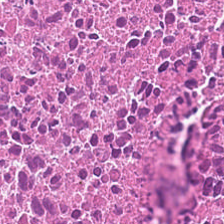H&E · 224×224 pixel tile — Classification: cellular debris.
